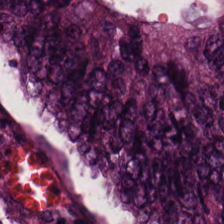FFPE · hematoxylin and eosin. Classification — colorectal adenocarcinoma.
